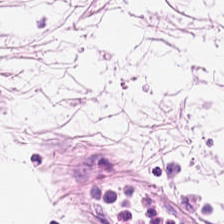Stain: H&E-stained tissue section.
Classification: adipose.
